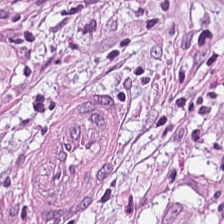H&E · 20× equivalent magnification — Predominantly tumor-associated stroma.
